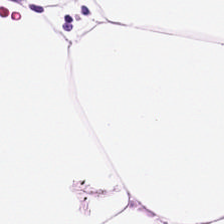H&E. Q: What tissue type is shown here?
A: This is adipocytes.
